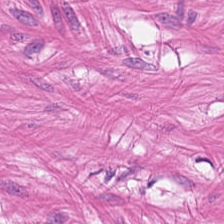Hematoxylin and eosin — Impression — muscularis.
